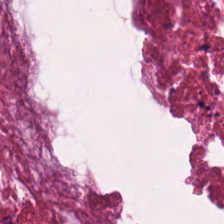H&E stain. Tissue type = debris.
